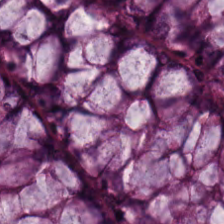H&E. This field is normal colon mucosa.
